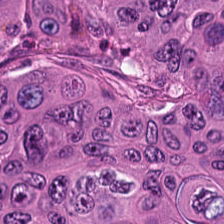Formalin-fixed paraffin-embedded section. H&E. 224×224 px patch. The tissue type is malignant epithelium.
